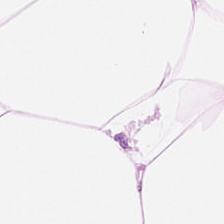Hematoxylin and eosin.
Q: Identify the tissue.
A: Adipocytes.
